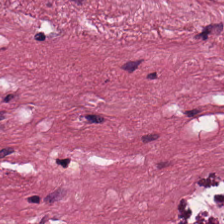H&E-stained tissue section. 20× equivalent magnification. Q: What type of tissue is this?
A: This is tumor stroma.
